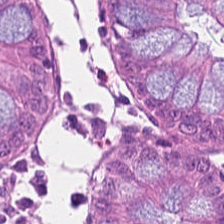H&E stain. The tissue here is non-neoplastic colon mucosa.
